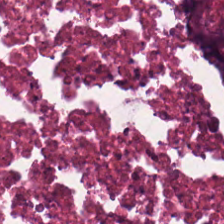224×224 px tile · FFPE tissue section · H&E — Q: What is shown in this field?
A: Debris.
